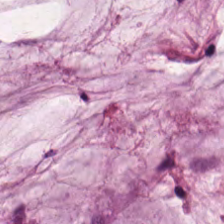0.5 microns per pixel; 224×224 px tile; H&E stain. The tissue type is extracellular mucin.
